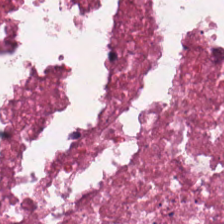Hematoxylin-and-eosin stained section — Finding — necrotic debris.
